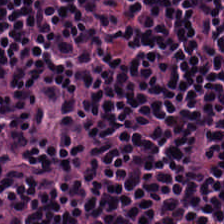Stain: hematoxylin and eosin.
Tile size: 224×224 pixel tile.
Acquisition: brightfield microscopy.
Tissue class: lymphoid infiltrate.
